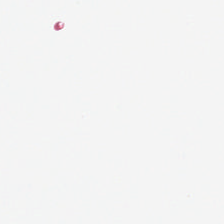Stain: H&E-stained tissue section.
Content: background.
